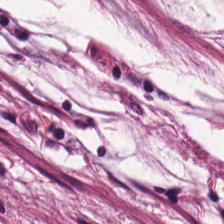H&E — mucus.
